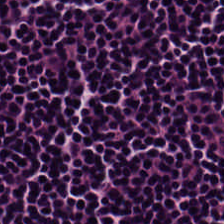Histology → lymphocyte aggregate.
